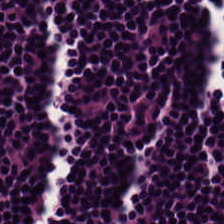Stain: hematoxylin-and-eosin stained section.
Tissue type: lymphocyte aggregate.
